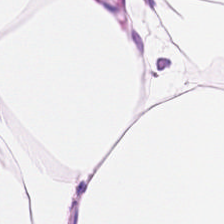H&E · WSI patch.
Tissue class = fat tissue.
